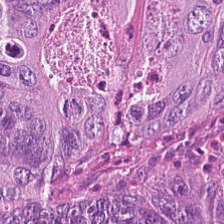Hematoxylin-and-eosin stained section.
Q: What tissue type is shown here?
A: Colorectal adenocarcinoma.
